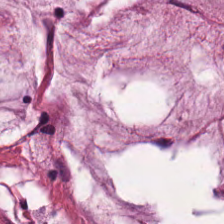Hematoxylin and eosin — Predominantly extracellular mucin.
